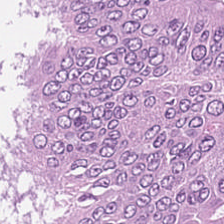Hematoxylin and eosin.
Showing colorectal adenocarcinoma epithelium.
